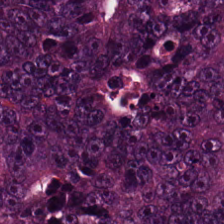FFPE. H&E.
Histology — adenocarcinoma.
